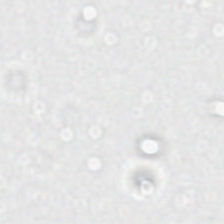Q: What is shown in this field?
A: This is background (no tissue).
